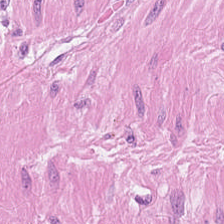Hematoxylin-and-eosin stained section. Q: What does this patch show?
A: The field shows muscularis.
